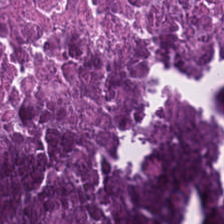{"tissue_type": "cellular debris"}
